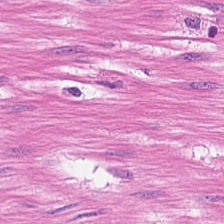Brightfield · hematoxylin and eosin.
Predominant tissue = smooth-muscle tissue.
